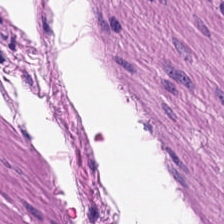0.5 µm/px; hematoxylin and eosin. Histology — smooth-muscle tissue.
